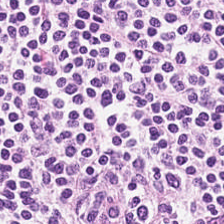Hematoxylin-and-eosin section: lymphocytic infiltrate.
